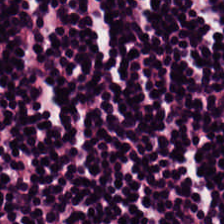Tissue type — lymphocyte aggregate.
